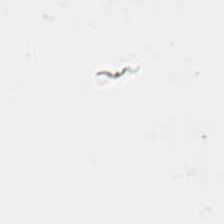Hematoxylin and eosin.
Histology — background.
